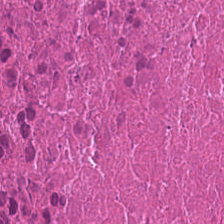H&E — Q: What is the predominant tissue type?
A: It is necrotic debris.
